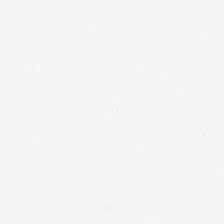This field is background (no tissue).
